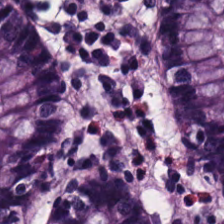The tissue type is normal colon mucosa.
